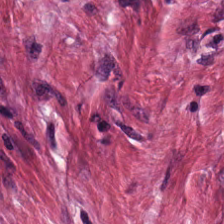FFPE; hematoxylin and eosin.
Q: What does this patch show?
A: It is tumor-associated stroma.
